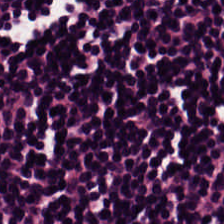0.5 µm per pixel; hematoxylin-and-eosin stained section; formalin-fixed paraffin-embedded section.
Showing lymphocyte aggregate.
